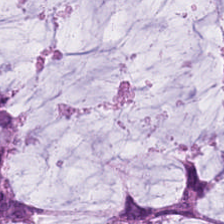Stain: H&E stain.
Tissue: mucus.
